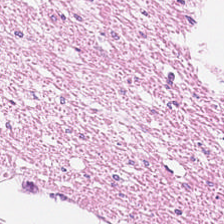Q: What type of tissue is this?
A: Smooth muscle.
